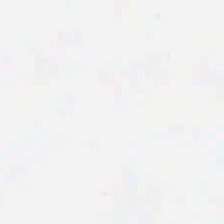H&E-stained tissue section — Field content = no tissue.
